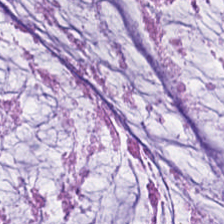Stain: H&E-stained tissue section.
Resolution: 0.5 µm/px.
Acquisition: whole-slide-image patch.
Tissue class: extracellular mucin.
